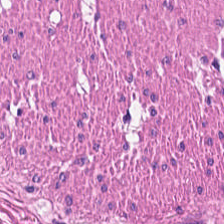H&E patch showing smooth muscle.
